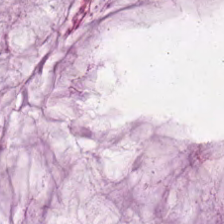Hematoxylin-and-eosin stained section.
Predominantly mucus.
